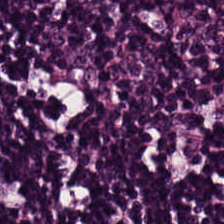The predominant tissue is lymphocytes.
